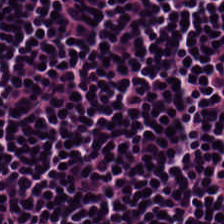Hematoxylin-and-eosin stained section; 20× equivalent magnification — The predominant tissue is lymphocyte aggregate.
